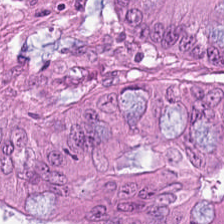Classification — colorectal adenocarcinoma epithelium.
